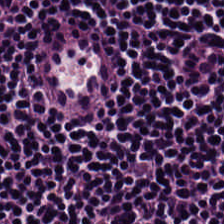Histology → lymphocyte aggregate.
